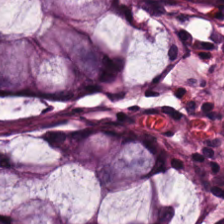Stain: hematoxylin and eosin.
Resolution: 0.5 µm per pixel.
Classification: normal colonic mucosa.
